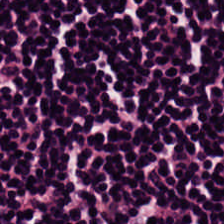224×224 pixel tile; H&E — Lymphocytic infiltrate.
